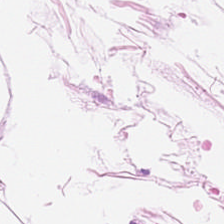Stain: H&E stain.
Acquisition: whole-slide-image patch.
Tissue class: adipose.
